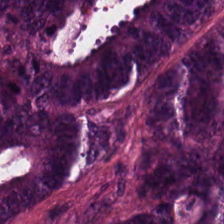Formalin-fixed paraffin-embedded section; H&E stain. This patch shows malignant epithelium.
